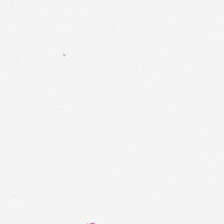No tissue present; background only.
